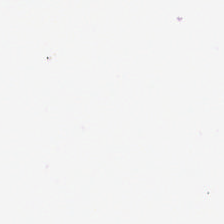H&E-stained tissue section; 224×224 pixel tile — Classification = background (no tissue).
